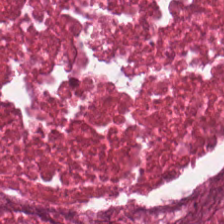Hematoxylin-and-eosin stained section. Brightfield. Necrotic debris.
